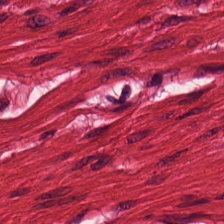Hematoxylin and eosin · 0.5 µm per pixel · whole-slide-image patch.
{"tissue_type": "smooth muscle"}
